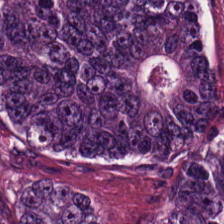224×224 pixel tile; 0.5 µm/px; H&E stain.
Predominantly colorectal adenocarcinoma epithelium.
